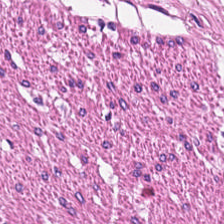H&E — muscularis.
